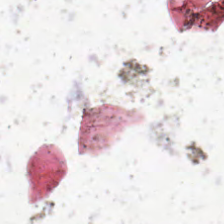Impression → empty background.
